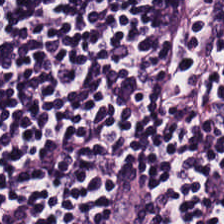Whole-slide-image patch; 0.5 µm/px; H&E — The tissue here is lymphocytic infiltrate.
